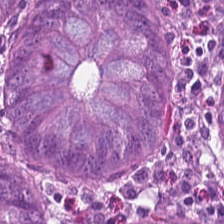Finding — non-neoplastic colon mucosa.
